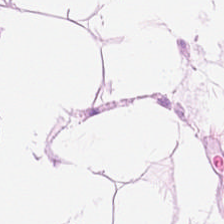Predominant tissue = fat tissue.
